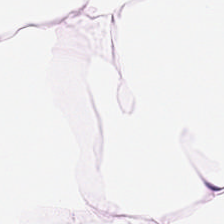224×224 pixel tile; hematoxylin and eosin — This field is adipose tissue.
